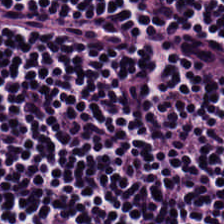H&E-stained tissue section showing lymphocyte aggregate.
